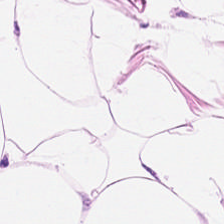WSI patch; hematoxylin and eosin.
Tissue type — fat tissue.
